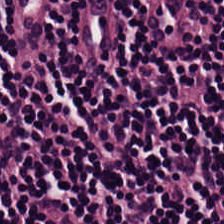Hematoxylin-and-eosin section: lymphocytic infiltrate.
